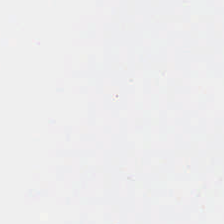H&E stain. WSI patch — Empty field — no tissue.
